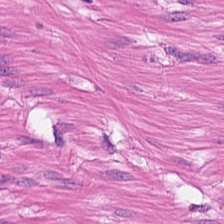H&E.
This field is smooth-muscle tissue.
